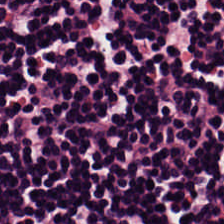Stain: H&E-stained tissue section.
Tile size: 224×224 px patch.
Tissue class: lymphoid infiltrate.
